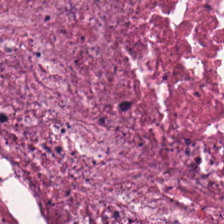Stain: hematoxylin-and-eosin stained section.
Tissue class: necrotic debris.
